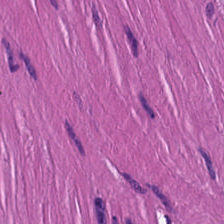224×224 px tile; H&E. Predominantly smooth-muscle tissue.
